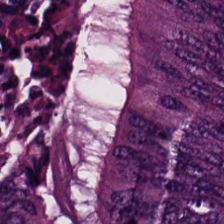224×224 pixel tile · H&E stain. The classification is adenocarcinoma.
